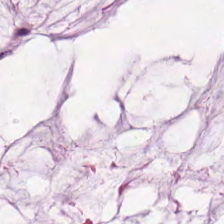Stain: hematoxylin-and-eosin stained section.
Predominant tissue: mucin.
